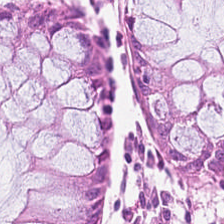The classification is benign colonic mucosa.
